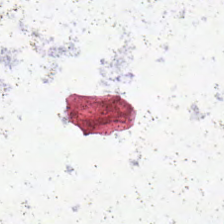Content — background.
